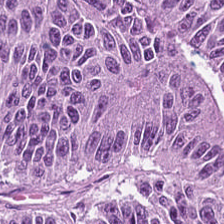Classification — tumor epithelium.
